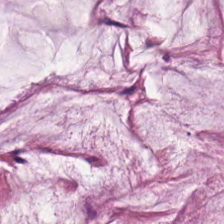Q: Identify the tissue.
A: It is extracellular mucin.
